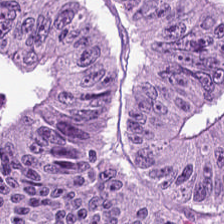Q: What is the predominant tissue type?
A: The field shows malignant epithelium.
